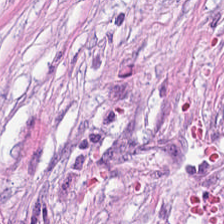Stain: hematoxylin and eosin.
Resolution: 0.5 microns per pixel.
Tissue class: cancer-associated stroma.
